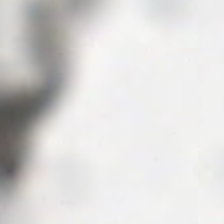Content: background (no tissue).
